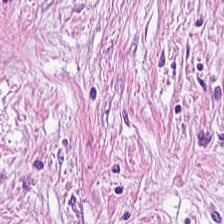FFPE. 0.5 microns per pixel. H&E-stained tissue section. Q: What is shown here?
A: It is desmoplastic stroma.
